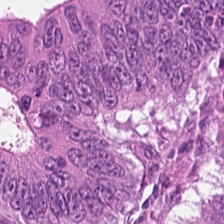Whole-slide-image patch · H&E-stained tissue section · 20× equivalent magnification. This field is colorectal adenocarcinoma.
